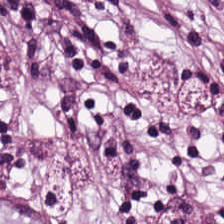Hematoxylin-and-eosin section: tumor stroma.
